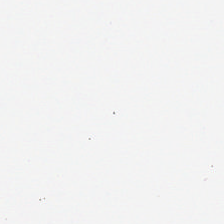Brightfield microscopy. 0.5 µm per pixel. Hematoxylin and eosin — This field is background (no tissue).
